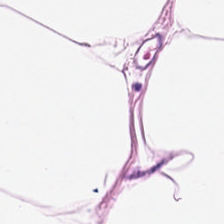Q: What type of tissue is this?
A: This is fat tissue.
